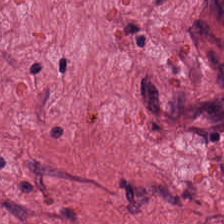Brightfield; FFPE tissue section; hematoxylin-and-eosin stained section. Showing desmoplastic stroma.
